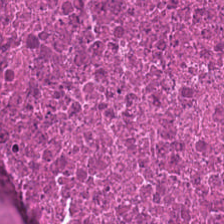0.5 µm per pixel · hematoxylin and eosin.
Tissue class — cellular debris.
